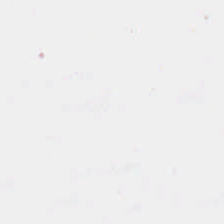FFPE tissue section · hematoxylin and eosin.
The classification is background (no tissue).
